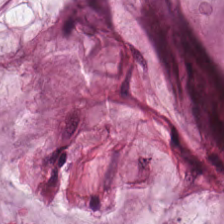H&E stain — Tissue type: extracellular mucin.
